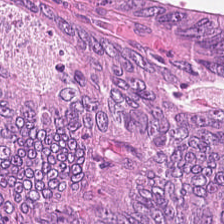This field is colorectal adenocarcinoma epithelium.
